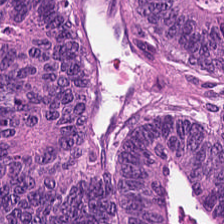224×224 px patch · hematoxylin and eosin.
Q: What does this patch show?
A: It is malignant epithelium.
